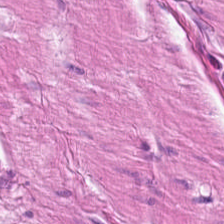Hematoxylin-and-eosin stained section — Histology — muscularis.
